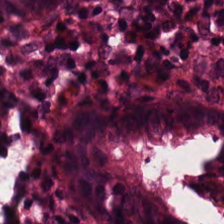H&E — This field is benign colonic mucosa.
